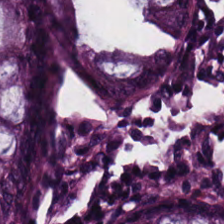H&E — Tissue = benign colonic mucosa.
